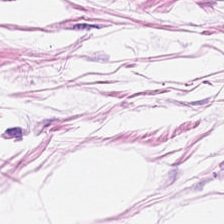H&E — Tissue type — adipocytes.
